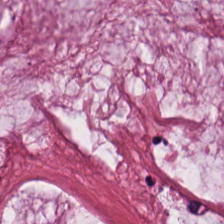H&E-stained tissue section showing extracellular mucin.
